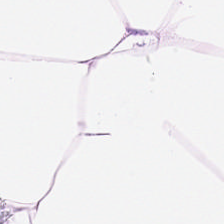Hematoxylin and eosin · 0.5 microns per pixel.
This field is adipose tissue.
